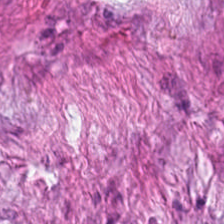FFPE tissue section · hematoxylin-and-eosin stained section · brightfield — Q: What tissue type is shown here?
A: Tumor-associated stroma.
